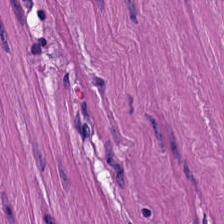Hematoxylin and eosin — Showing smooth muscle.
